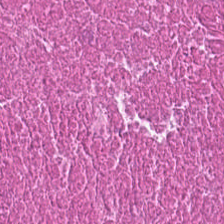Cellular debris.
